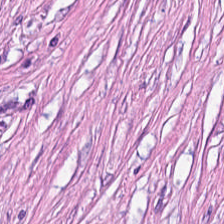Predominant tissue: tumor-associated stroma.
